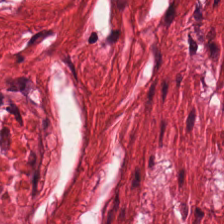H&E stain. 0.5 µm per pixel.
Predominantly smooth-muscle tissue.
